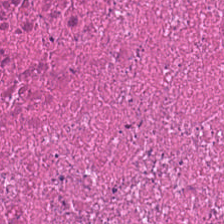H&E-stained tissue section · 224×224 pixel tile. The classification is debris.
